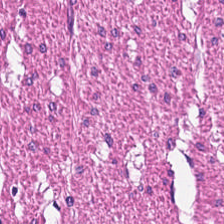Stain: H&E stain.
Predominant tissue: smooth muscle.
